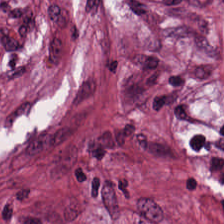H&E-stained tissue section · 20× equivalent magnification.
{"tissue_type": "tumor stroma"}
